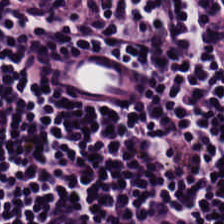Showing lymphocytes.
